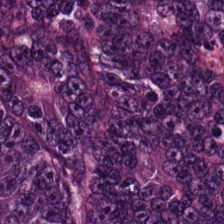Hematoxylin-and-eosin stained section — Colorectal adenocarcinoma epithelium.
